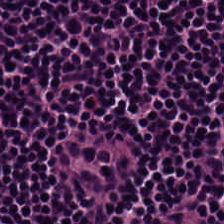Hematoxylin-and-eosin stained section.
Q: What is shown in this field?
A: This is lymphocyte aggregate.
